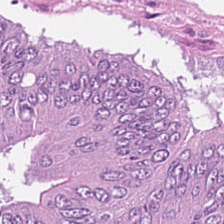{"tissue_type": "adenocarcinoma"}
